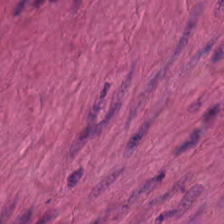H&E stain; 224×224 px patch; 0.5 µm/px — Q: What is shown here?
A: It is smooth muscle.
